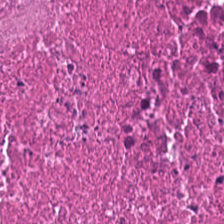H&E — Showing debris.
